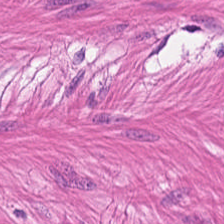Q: What is shown in this field?
A: Muscularis.
